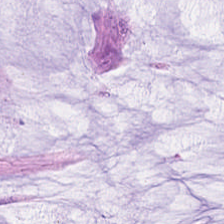Tissue class — mucus.
